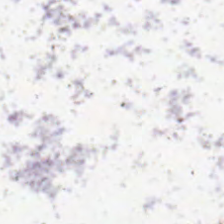Empty background.
